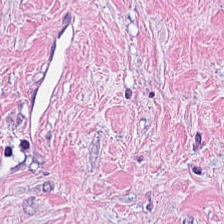Stain: hematoxylin and eosin.
Tissue class: cancer-associated stroma.
